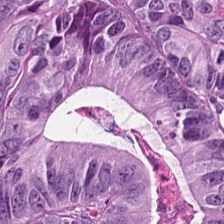H&E — Tissue class — tumor epithelium.
